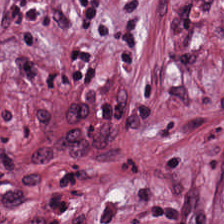Q: What does this patch show?
A: This is tumor-associated stroma.
